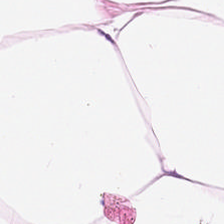Finding — fat tissue.
